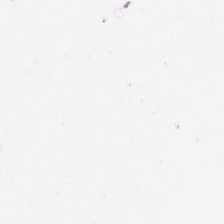Hematoxylin and eosin; 0.5 microns per pixel. No tissue present; background only.
